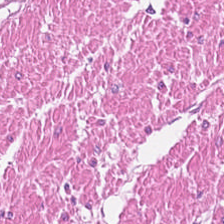H&E stain. Showing smooth-muscle tissue.
